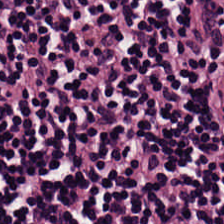H&E. Tissue class — lymphocyte aggregate.
